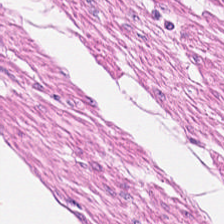Smooth-muscle tissue.
